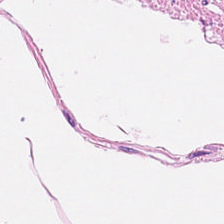WSI patch. H&E-stained tissue section. This patch shows muscularis.
